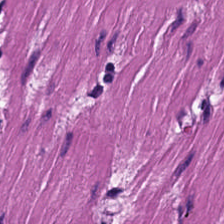Hematoxylin and eosin — Finding — muscularis.
